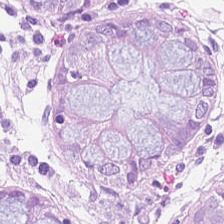Predominant tissue: normal colonic mucosa.
